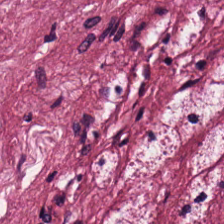Showing desmoplastic stroma.
